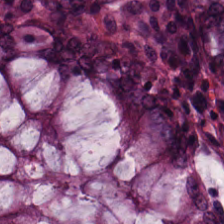H&E-stained tissue section. Finding — non-neoplastic colon mucosa.
